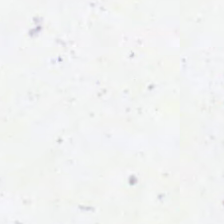This field is background (no tissue).
